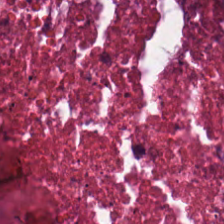Hematoxylin-and-eosin stained section — Q: Classify this patch.
A: It is debris.
